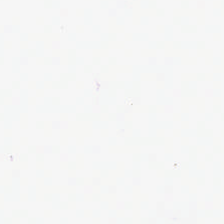0.5 µm per pixel; H&E-stained tissue section. Background — no tissue in this field.
